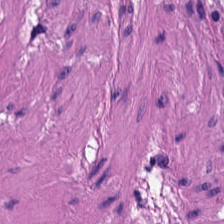H&E-stained tissue section showing smooth muscle.
